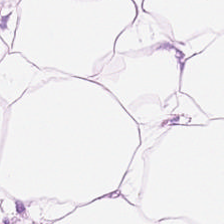0.5 µm per pixel; H&E. Q: What is shown in this field?
A: The field shows fat tissue.
